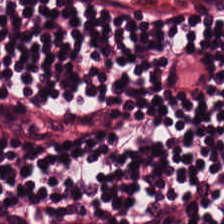Hematoxylin-and-eosin stained section — Tissue — lymphoid infiltrate.
